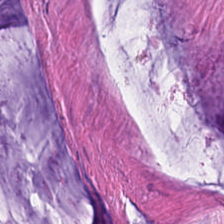This field is mucus.
